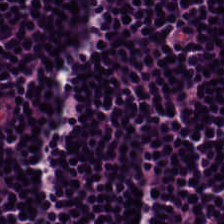H&E stain.
Tissue: lymphocyte aggregate.
